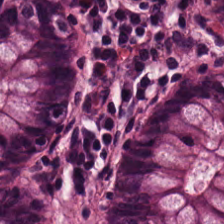Stain: hematoxylin and eosin.
Predominant tissue: normal colon mucosa.
